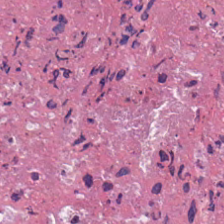H&E stain. FFPE tissue section. 224×224 px tile — Q: What tissue is shown?
A: Necrotic debris.
